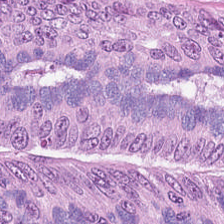H&E stain.
Classification: colorectal adenocarcinoma.
